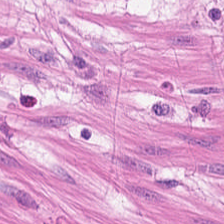Formalin-fixed paraffin-embedded section. WSI patch. Hematoxylin-and-eosin stained section.
{"tissue_type": "muscularis"}
